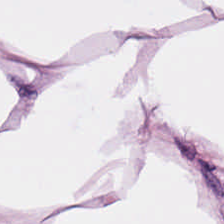0.5 µm per pixel; hematoxylin and eosin. Classification — adipose tissue.
